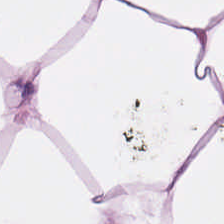Formalin-fixed paraffin-embedded section · H&E-stained tissue section · 0.5 µm per pixel.
Q: What is shown here?
A: The field shows adipose.
